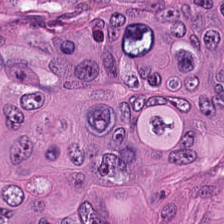Hematoxylin and eosin. The predominant tissue is malignant epithelium.
